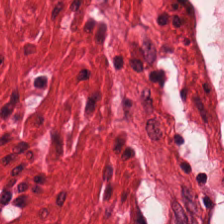224×224 pixel tile · H&E-stained tissue section — Showing smooth-muscle tissue.
